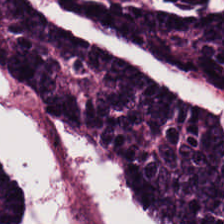H&E-stained tissue section — Tissue type = colorectal adenocarcinoma epithelium.
